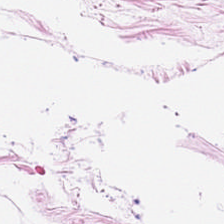Tissue type: adipose.
